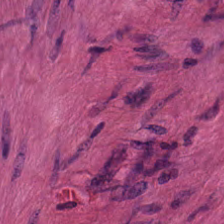H&E stain — Finding → smooth muscle.
